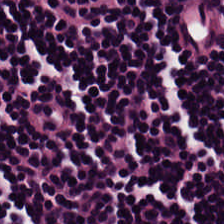Hematoxylin-and-eosin stained section. FFPE tissue section — {"tissue_type": "lymphocytic infiltrate"}
